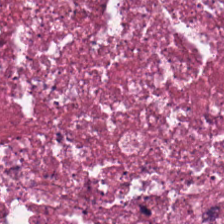Hematoxylin and eosin. Predominantly necrotic debris.
